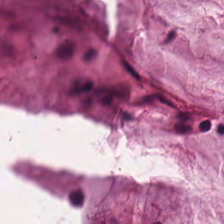H&E-stained tissue section.
Showing mucus.
